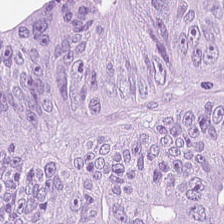H&E-stained tissue section. Q: What is the predominant tissue type?
A: This is colorectal adenocarcinoma.
